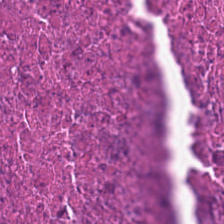Stain: H&E stain.
Resolution: 20× equivalent magnification.
Predominant tissue: cellular debris.
